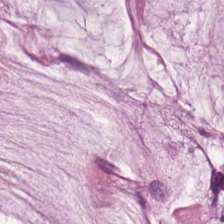Hematoxylin-and-eosin stained section. 0.5 microns per pixel. Q: What is shown here?
A: It is mucus.
